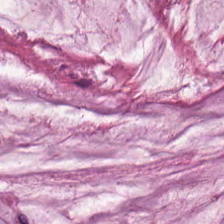Formalin-fixed paraffin-embedded section. 20× equivalent magnification. Hematoxylin-and-eosin stained section. Tissue class: mucin.
